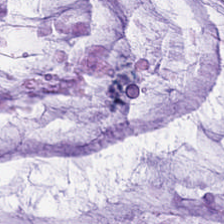Impression — mucus.
